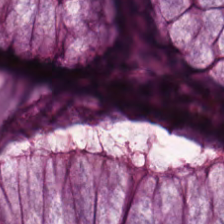H&E.
Q: Identify the tissue.
A: Normal colonic mucosa.
